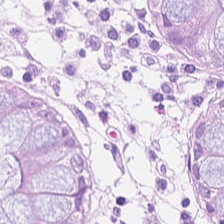Q: What tissue type is shown here?
A: The field shows non-neoplastic colon mucosa.
